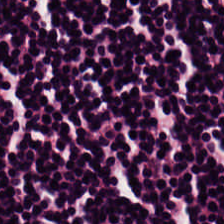H&E-stained tissue section.
The predominant tissue is lymphoid infiltrate.
